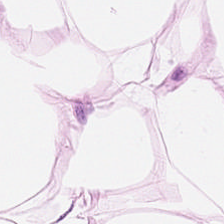FFPE; H&E.
Tissue class — adipose tissue.
